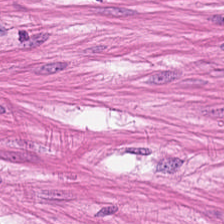WSI patch; H&E-stained tissue section — Predominantly muscularis.
